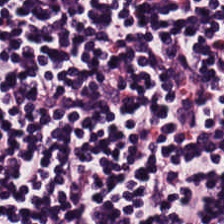{"tissue_type": "lymphocyte aggregate"}
